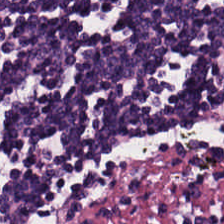H&E — Predominant tissue — lymphocyte aggregate.
